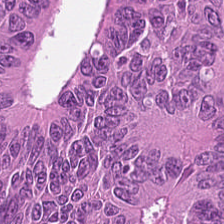H&E-stained section; the field shows adenocarcinoma.
